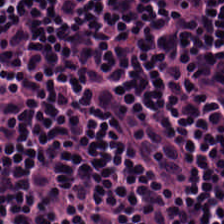H&E-stained tissue section; FFPE tissue section — Classification: lymphocytes.
